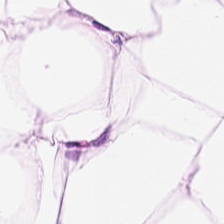Whole-slide-image patch. H&E-stained tissue section — Q: What does this patch show?
A: The field shows adipocytes.
